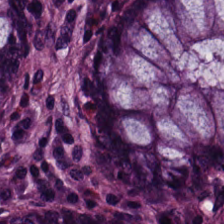Brightfield microscopy. H&E stain.
Predominantly normal colonic mucosa.
